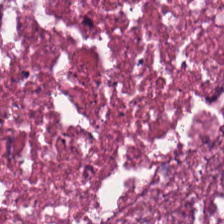FFPE · hematoxylin-and-eosin stained section. Predominantly necrotic debris.
